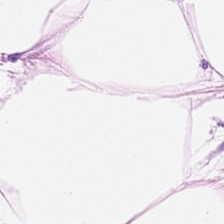Hematoxylin-and-eosin stained section.
Histology — adipocytes.
